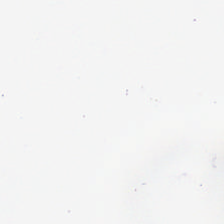0.5 microns per pixel · H&E stain · whole-slide-image patch. Empty field — background.
